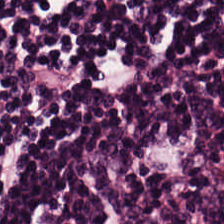Formalin-fixed paraffin-embedded section. Hematoxylin and eosin. Impression — lymphoid infiltrate.
